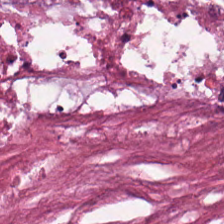FFPE · H&E — Q: What is the predominant tissue type?
A: It is necrotic debris.
